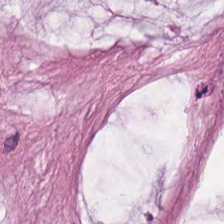H&E-stained tissue section.
The tissue class is extracellular mucin.
